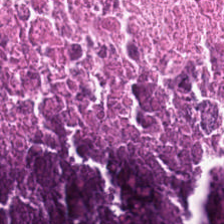Hematoxylin and eosin; brightfield microscopy. This field is necrotic debris.
